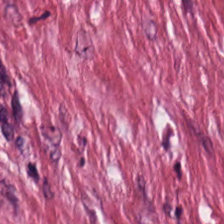H&E.
Histology — desmoplastic stroma.
